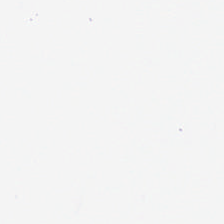Classification: background (no tissue).
